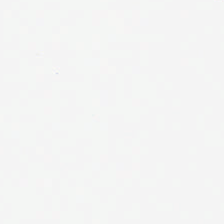FFPE tissue section · hematoxylin-and-eosin stained section · brightfield microscopy.
Content: empty background.
